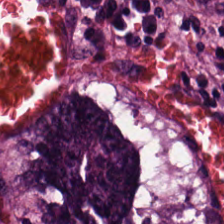The tissue is adenocarcinoma.
